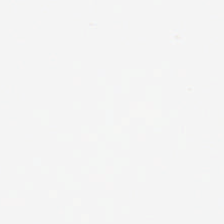Hematoxylin and eosin.
Classification = background (no tissue).
